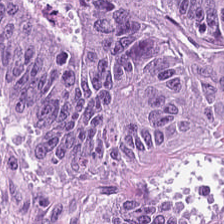224×224 px tile. Hematoxylin-and-eosin stained section. WSI patch — The tissue type is adenocarcinoma.
